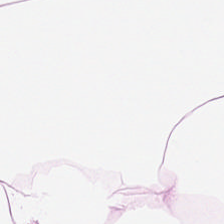Brightfield. Hematoxylin-and-eosin stained section. 0.5 microns per pixel.
Adipose.
